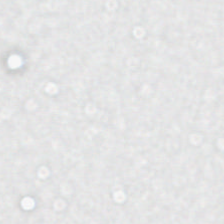H&E-stained tissue section. FFPE tissue section. 0.5 µm per pixel — Content = background.
